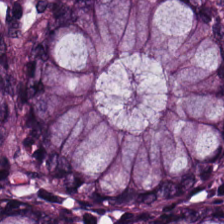Hematoxylin-and-eosin stained section. {"tissue_type": "normal colonic mucosa"}
